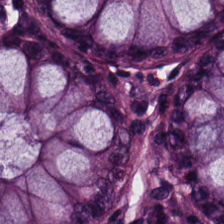{"tissue_type": "benign colonic mucosa"}
